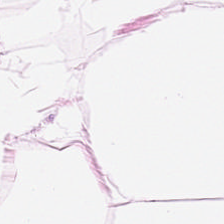Formalin-fixed paraffin-embedded section · hematoxylin-and-eosin stained section · 224×224 px tile.
This patch shows adipocytes.
